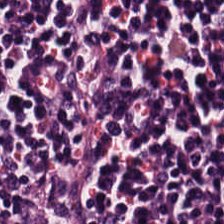Stain: hematoxylin-and-eosin stained section.
Tile size: 224×224 px tile.
Predominant tissue: lymphocytic infiltrate.
